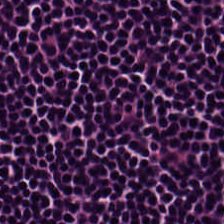Hematoxylin-and-eosin stained section.
Q: What tissue is shown?
A: The field shows lymphocytic infiltrate.
